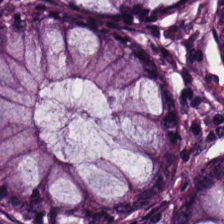Brightfield microscopy. H&E.
Q: What is the predominant tissue type?
A: The field shows benign colonic mucosa.
